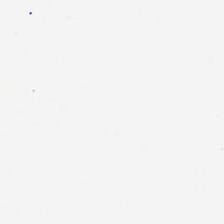Background (no tissue).
